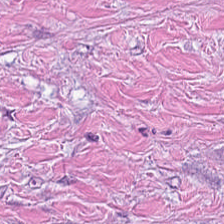H&E stain · FFPE — The tissue here is tumor stroma.
